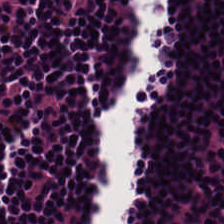The tissue class is lymphocyte aggregate.
